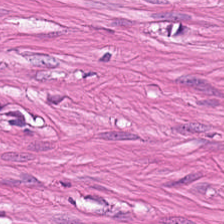Hematoxylin-and-eosin stained section · brightfield — Tissue class — smooth-muscle tissue.
